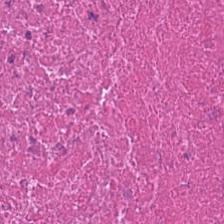WSI patch. H&E stain — Predominantly cellular debris.
